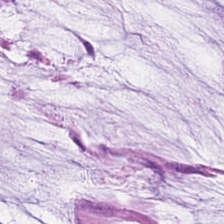FFPE · hematoxylin and eosin. {"tissue_type": "mucin"}
